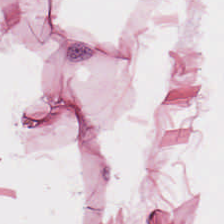H&E.
Tissue — adipose.
